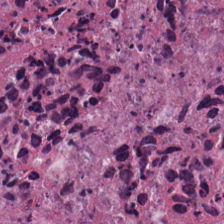Classification: necrotic debris.
